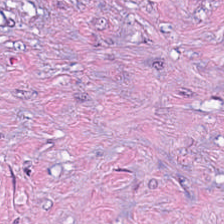FFPE tissue section · hematoxylin-and-eosin stained section.
{"tissue_type": "desmoplastic stroma"}
